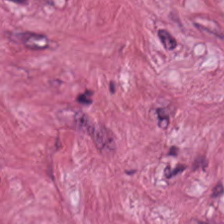Stain: H&E stain.
Tissue class: tumor-associated stroma.
